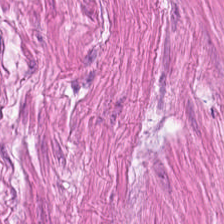Q: What type of tissue is this?
A: The field shows smooth muscle.
